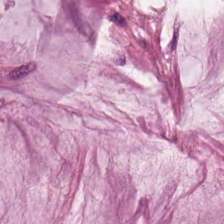FFPE tissue section; hematoxylin and eosin — Mucin.
